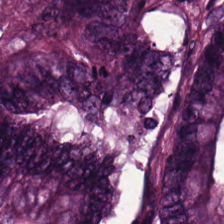Hematoxylin and eosin.
Tissue = colorectal adenocarcinoma.
